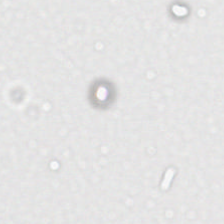This field is background (no tissue).
